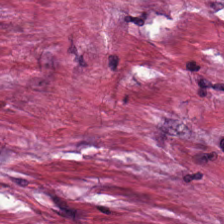Hematoxylin and eosin.
Histology — desmoplastic stroma.
